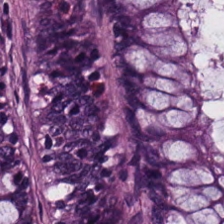Hematoxylin-and-eosin stained section — Q: What tissue type is shown here?
A: Benign colonic mucosa.
